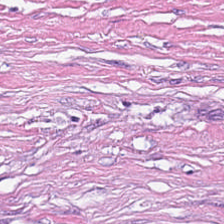H&E — Q: What type of tissue is this?
A: The field shows tumor stroma.
